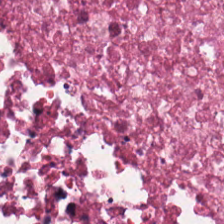Tissue = cellular debris.
